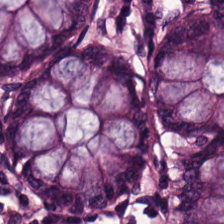0.5 µm per pixel · H&E stain.
Classification = normal colon mucosa.
